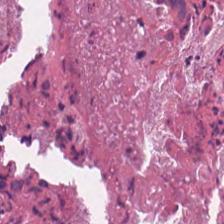Hematoxylin and eosin. 224×224 pixel tile.
{"tissue_type": "debris"}
